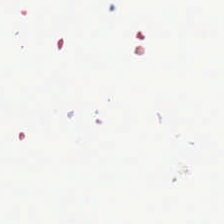H&E.
{"content": "background (no tissue)"}
